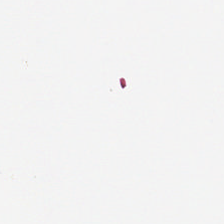Brightfield. H&E stain. 224×224 px tile — This patch shows background (no tissue).
